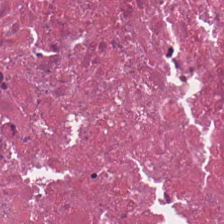Finding — debris.
